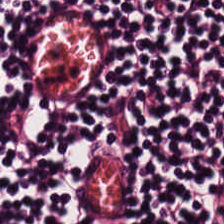0.5 µm per pixel; hematoxylin-and-eosin stained section — The tissue class is lymphocytes.
